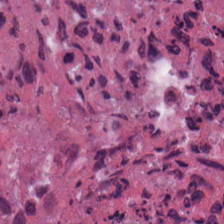H&E stain.
Predominant tissue = necrotic debris.
